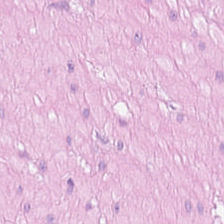Tissue class: smooth muscle.
